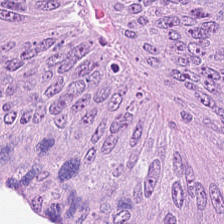H&E-stained tissue section. 0.5 microns per pixel.
Tissue type = tumor epithelium.
